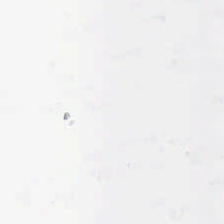H&E-stained tissue section. Finding → no tissue.
